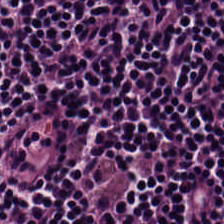FFPE · H&E · 20× equivalent magnification — Impression — lymphocytic infiltrate.
